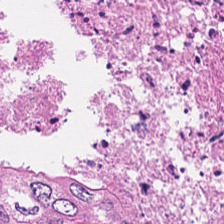H&E-stained tissue section. The predominant tissue is debris.
